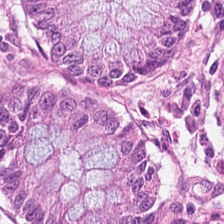H&E; WSI patch. The tissue type is benign colonic mucosa.
